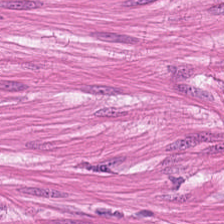Tissue — smooth muscle.
